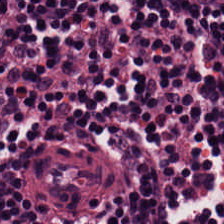20× equivalent magnification; hematoxylin and eosin.
Impression → lymphocyte aggregate.
